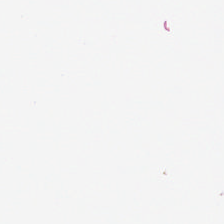H&E-stained tissue section. Q: Classify this patch.
A: The field shows background.
